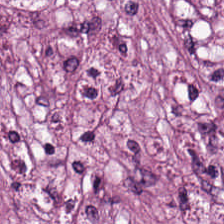FFPE · H&E-stained tissue section — The predominant tissue is desmoplastic stroma.
